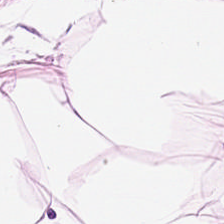Stain: H&E stain.
Tissue: fat tissue.
